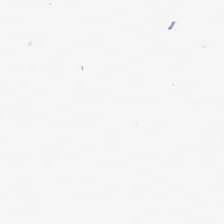Hematoxylin and eosin · FFPE tissue section.
The content is background.
